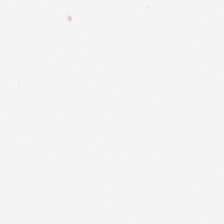H&E-stained tissue section. 224×224 pixel tile. Background — no tissue in this field.
